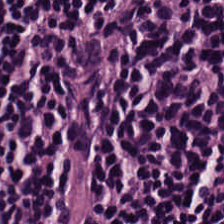Tissue — lymphocytic infiltrate.
